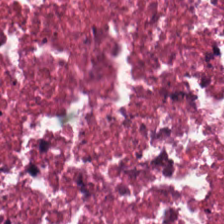This field is debris.
